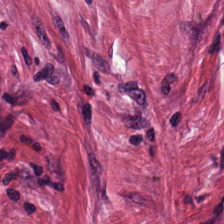H&E patch showing cancer-associated stroma.
